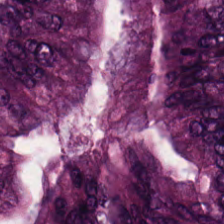H&E-stained tissue section · FFPE.
Tissue type — colorectal adenocarcinoma.
